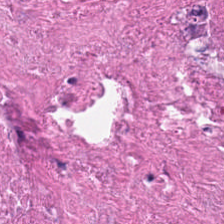H&E-stained tissue section; 0.5 microns per pixel.
The tissue class is debris.
